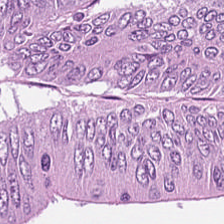Tissue: colorectal adenocarcinoma.
